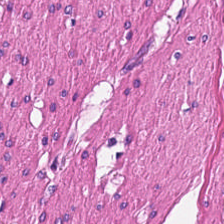The tissue here is muscularis.
